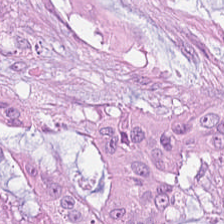H&E.
Tissue type — adenocarcinoma.
